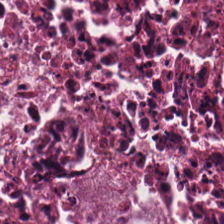Hematoxylin-and-eosin stained section — The predominant tissue is necrotic debris.
